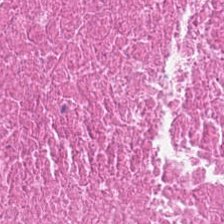Tissue class = debris.
